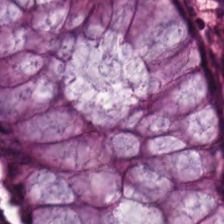Hematoxylin-and-eosin stained section — This patch shows benign colonic mucosa.
